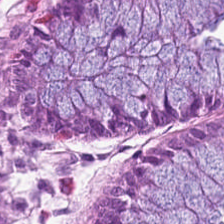H&E.
Classification — benign colonic mucosa.
